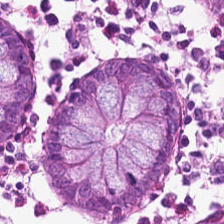{"tissue_type": "normal colon mucosa"}
